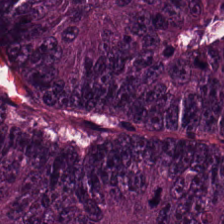Hematoxylin and eosin — Q: What tissue is shown?
A: Tumor epithelium.
